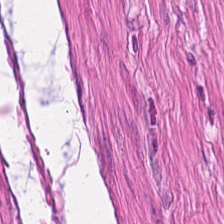H&E.
Impression → smooth-muscle tissue.
